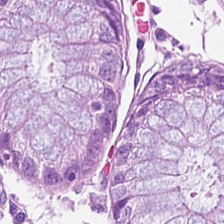Hematoxylin-and-eosin stained section. This field is normal colon mucosa.
